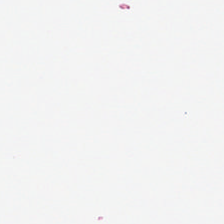Impression → no tissue.
